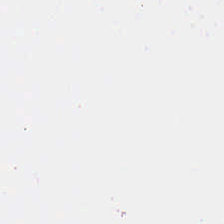This field is background (no tissue).
